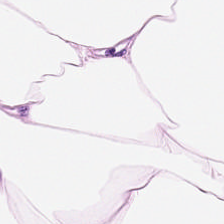Stain: hematoxylin and eosin.
Preparation: formalin-fixed paraffin-embedded section.
Tissue type: adipose.
